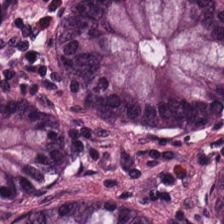Stain: H&E-stained tissue section.
Classification: non-neoplastic colon mucosa.
